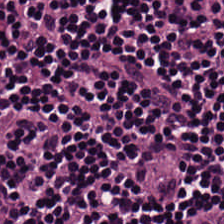Tissue class: lymphocytic infiltrate.
